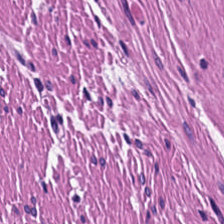Impression → muscularis.
